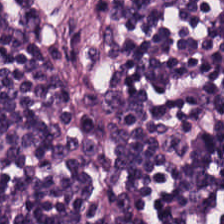Impression — lymphoid infiltrate.
